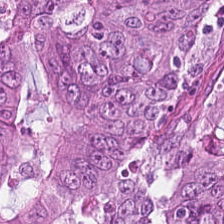224×224 px patch. H&E-stained tissue section.
Classification: colorectal adenocarcinoma epithelium.
